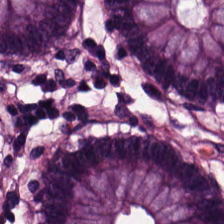Brightfield microscopy. 0.5 microns per pixel. H&E stain.
Predominant tissue — benign colonic mucosa.
